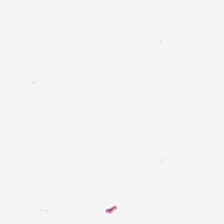H&E stain; WSI patch.
Classification — background (no tissue).
